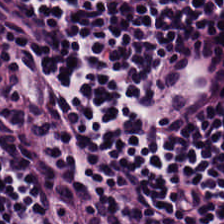H&E-stained tissue section · brightfield. Tissue type: lymphocyte aggregate.
